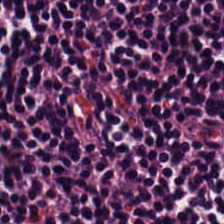H&E. {"tissue_type": "lymphocytes"}
